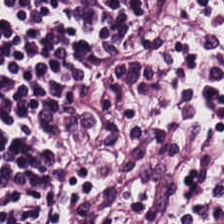H&E stain — Impression → lymphocytic infiltrate.
